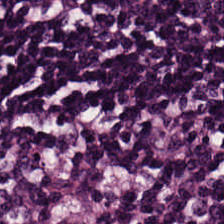Whole-slide-image patch. H&E. 224×224 px tile. Finding → lymphocytic infiltrate.
